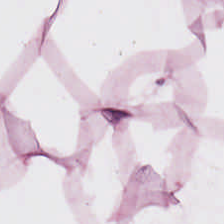H&E stain.
Q: What does this patch show?
A: Fat tissue.
